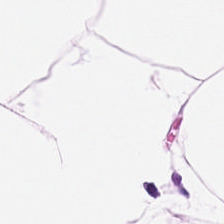H&E-stained section; the field shows fat tissue.
